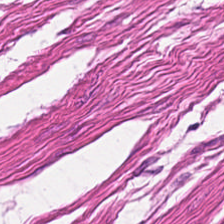Hematoxylin and eosin — Tissue class: smooth-muscle tissue.
